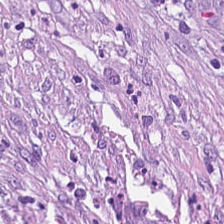Classification — cancer-associated stroma.
